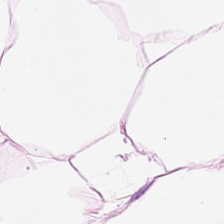Formalin-fixed paraffin-embedded section; H&E. Adipose.
